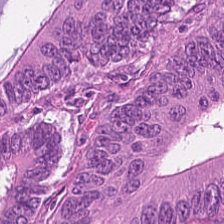H&E — adenocarcinoma.
